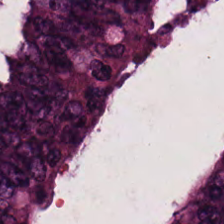Q: Classify this patch.
A: The field shows malignant epithelium.
